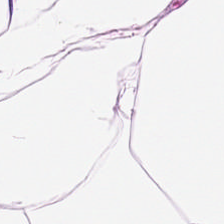H&E stain.
This field is fat tissue.
